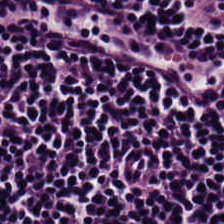H&E-stained tissue section · 224×224 pixel tile · 20× equivalent magnification.
Showing lymphoid infiltrate.
